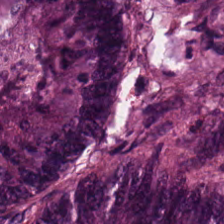Q: What does this patch show?
A: Adenocarcinoma.
